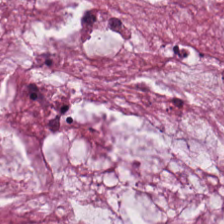H&E-stained section; the field shows mucin.
